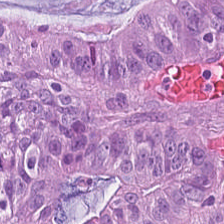H&E-stained tissue section. Tissue class: colorectal adenocarcinoma epithelium.
